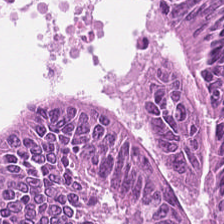H&E. {"tissue_type": "colorectal adenocarcinoma epithelium"}
